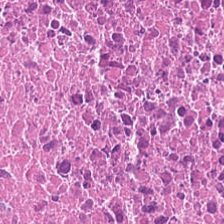Hematoxylin-and-eosin stained section. Q: What type of tissue is this?
A: Cellular debris.
